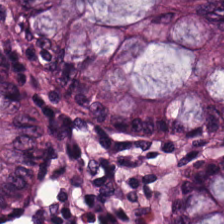Tissue class: normal colonic mucosa.
